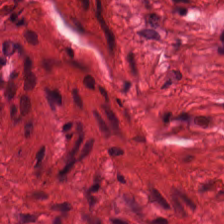H&E-stained tissue section.
Q: Identify the tissue.
A: The field shows smooth muscle.
